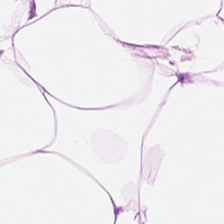Hematoxylin and eosin; WSI patch. This patch shows adipose tissue.
